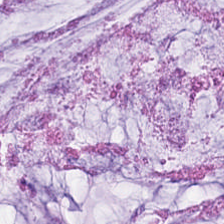H&E. Predominant tissue — mucus.
